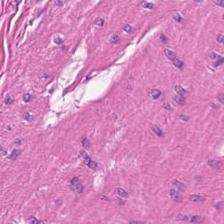Stain: H&E stain.
Classification: smooth muscle.
